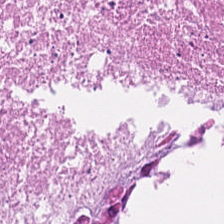This field is cellular debris.
